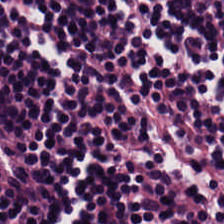Brightfield microscopy · hematoxylin-and-eosin stained section. Tissue class: lymphoid infiltrate.
